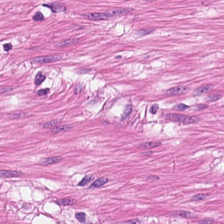Formalin-fixed paraffin-embedded section · H&E · 0.5 µm/px — Showing smooth-muscle tissue.
